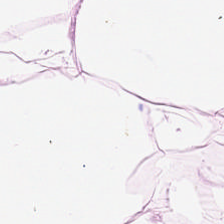Tissue type: adipose.
